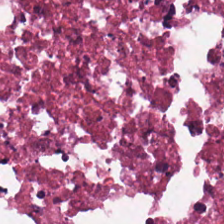Q: Classify this patch.
A: This is necrotic debris.
